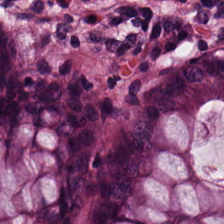224×224 px tile · hematoxylin and eosin. Classification: benign colonic mucosa.
